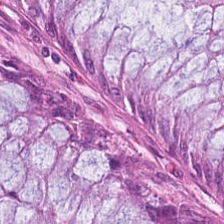Predominantly normal colon mucosa.
